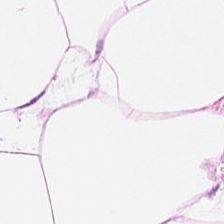Hematoxylin and eosin.
This field is adipose.
